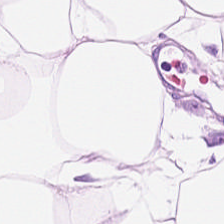FFPE tissue section · H&E stain — Histology — adipose.
